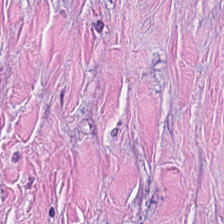20× equivalent magnification · H&E stain · FFPE — Showing tumor stroma.
